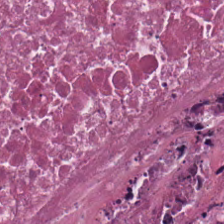Formalin-fixed paraffin-embedded section. H&E. 20× equivalent magnification.
This field is necrotic debris.
